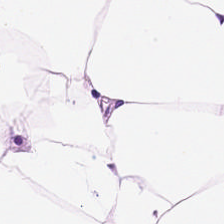H&E.
Finding — adipocytes.
